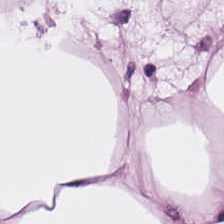The tissue is adipose tissue.
